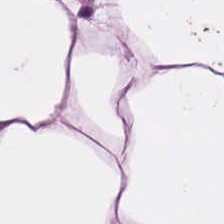H&E stain · 20× equivalent magnification.
The classification is fat tissue.
